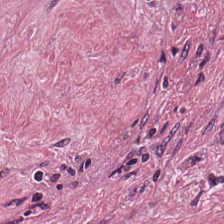Hematoxylin-and-eosin stained section. Tissue — desmoplastic stroma.
